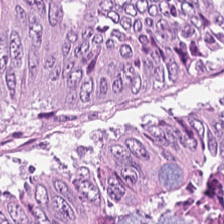FFPE. H&E-stained tissue section. Whole-slide-image patch.
Q: What is shown in this field?
A: It is malignant epithelium.
